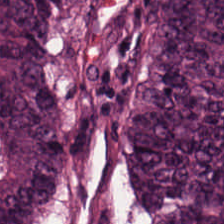H&E-stained section; the field shows colorectal adenocarcinoma.
